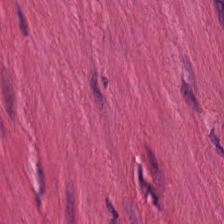224×224 pixel tile; 20× equivalent magnification; H&E stain — Muscularis.
